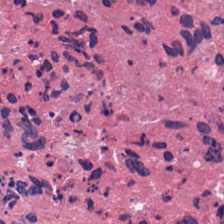H&E-stained tissue section — This patch shows debris.
